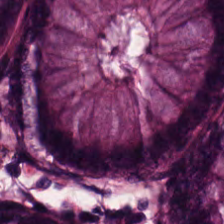224×224 pixel tile. H&E.
Tissue type = normal colon mucosa.
